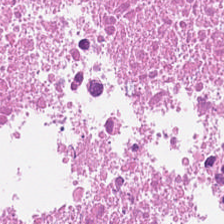Stain: H&E.
Acquisition: WSI patch.
Classification: debris.
